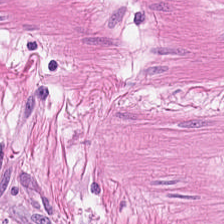Q: What tissue is shown?
A: Smooth muscle.
